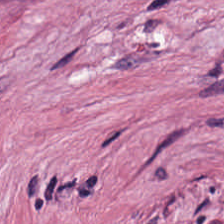0.5 µm/px. Hematoxylin and eosin. FFPE tissue section.
The predominant tissue is tumor stroma.
